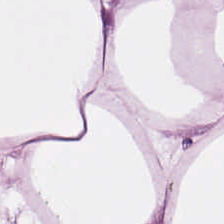224×224 px tile · H&E stain — Classification: fat tissue.
